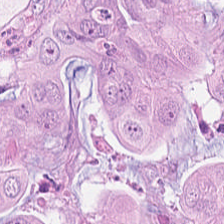Hematoxylin and eosin. Formalin-fixed paraffin-embedded section.
{"tissue_type": "colorectal adenocarcinoma"}
